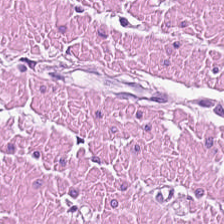224×224 px tile · hematoxylin-and-eosin stained section. This patch shows smooth-muscle tissue.
